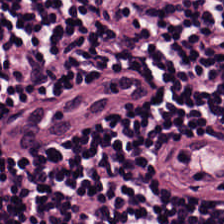Hematoxylin-and-eosin stained section.
Q: What is the predominant tissue type?
A: It is lymphocytic infiltrate.
